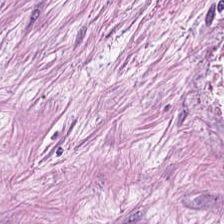Stain: H&E stain.
Acquisition: whole-slide-image patch.
Tissue class: tumor-associated stroma.
